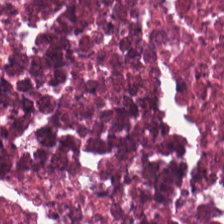224×224 px tile · H&E stain · formalin-fixed paraffin-embedded section. Finding — necrotic debris.
